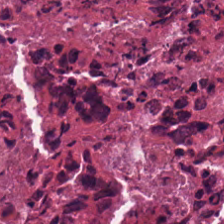0.5 microns per pixel; hematoxylin and eosin.
Tissue type — cellular debris.
